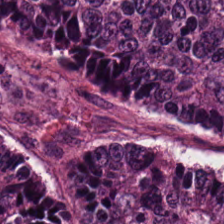Hematoxylin and eosin. 224×224 pixel tile — Showing tumor epithelium.
